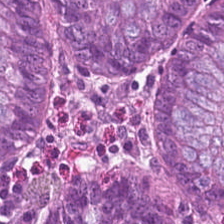FFPE tissue section. Hematoxylin-and-eosin stained section.
The predominant tissue is non-neoplastic colon mucosa.
